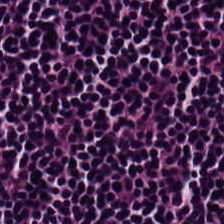H&E.
The tissue here is lymphocytic infiltrate.
